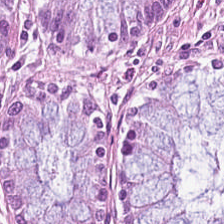224×224 pixel tile · hematoxylin and eosin — Predominantly benign colonic mucosa.
